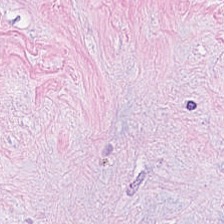H&E.
Q: Classify this patch.
A: This is cancer-associated stroma.
